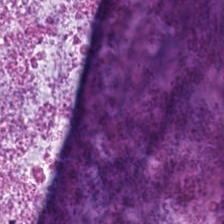H&E-stained tissue section.
The predominant tissue is mucus.
